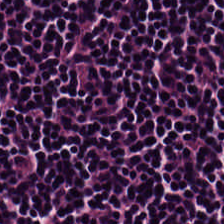H&E stain — Showing lymphocyte aggregate.
